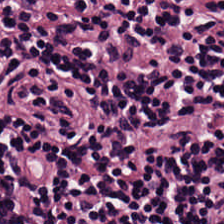Tissue — lymphocytic infiltrate.
